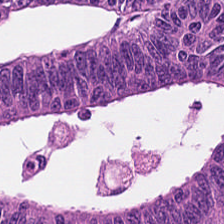Stain: hematoxylin-and-eosin stained section.
Predominant tissue: adenocarcinoma.
